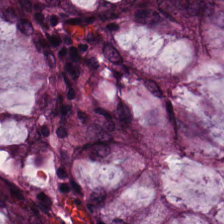H&E-stained tissue section showing normal colonic mucosa.
